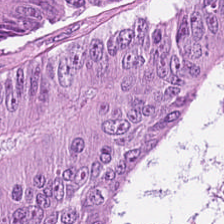Hematoxylin-and-eosin stained section; 0.5 µm per pixel; 224×224 pixel tile — Classification = tumor epithelium.
